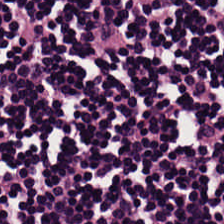Brightfield; H&E stain; 224×224 pixel tile — Finding — lymphocytic infiltrate.
